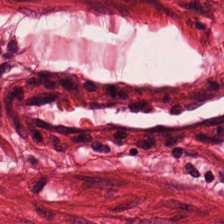Classification: smooth-muscle tissue.
